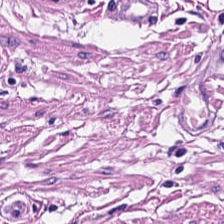H&E-stained section; the field shows smooth muscle.
